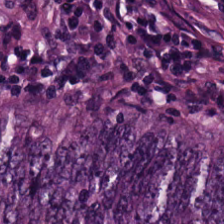Hematoxylin and eosin; 224×224 pixel tile; FFPE — Classification = tumor epithelium.
